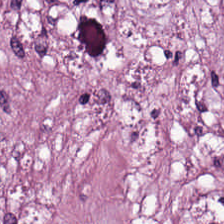Hematoxylin and eosin — Predominant tissue: desmoplastic stroma.
